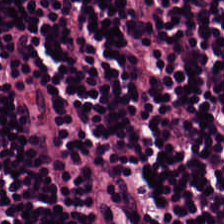H&E stain. Finding → lymphocyte aggregate.
